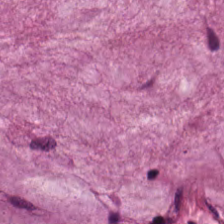Hematoxylin and eosin · 224×224 pixel tile · brightfield microscopy — This field is mucin.
